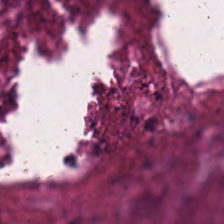Q: What is shown in this field?
A: It is debris.
